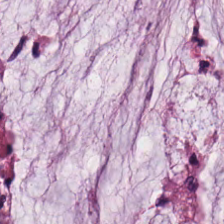Hematoxylin-and-eosin stained section. Tissue type: mucin.
